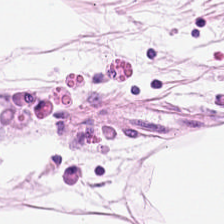H&E stain. This field is fat tissue.
